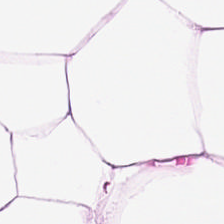The tissue is adipocytes.
